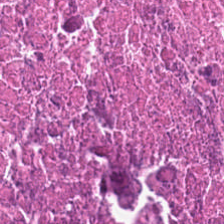The tissue here is cellular debris.
